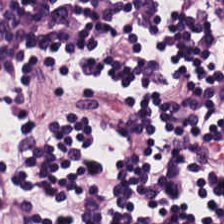H&E-stained tissue section · brightfield.
Q: Classify this patch.
A: The field shows lymphocytes.
